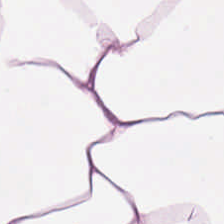H&E stain · 0.5 µm/px — Finding — adipose tissue.
